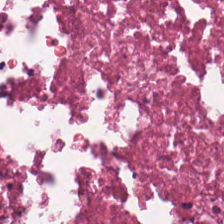Brightfield. Hematoxylin-and-eosin stained section — This patch shows necrotic debris.
